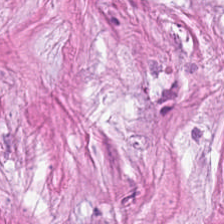Hematoxylin-and-eosin stained section — Predominant tissue = cancer-associated stroma.
